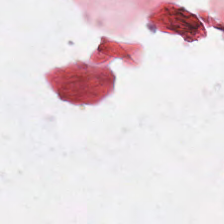224×224 pixel tile. 20× equivalent magnification. Hematoxylin-and-eosin stained section.
Classification = no tissue.
